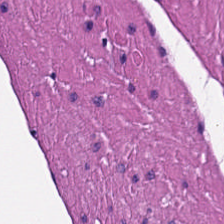Showing smooth muscle.
